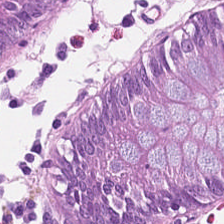224×224 px tile; H&E; FFPE tissue section — Q: What type of tissue is this?
A: The field shows normal colon mucosa.
